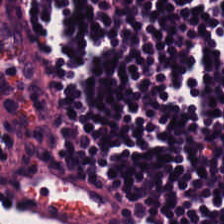Hematoxylin-and-eosin stained section.
Classification — lymphocyte aggregate.
